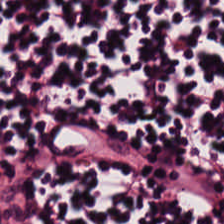H&E-stained tissue section — The tissue here is lymphocyte aggregate.
